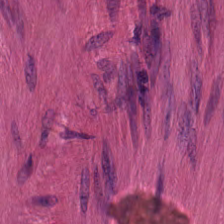0.5 µm/px; H&E-stained tissue section.
Finding — smooth-muscle tissue.
